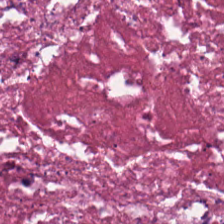Q: Identify the tissue.
A: Cellular debris.
